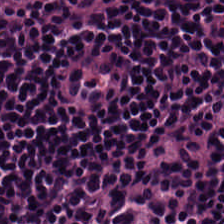Showing lymphocytes.
